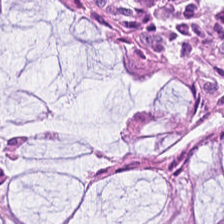H&E stain; 20× equivalent magnification. The predominant tissue is normal colonic mucosa.
